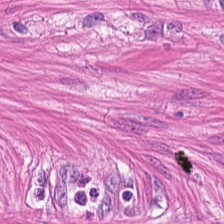20× equivalent magnification. Hematoxylin-and-eosin stained section. FFPE.
Tissue class: muscularis.
